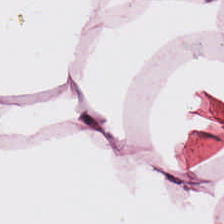Hematoxylin and eosin. This patch shows adipose.
